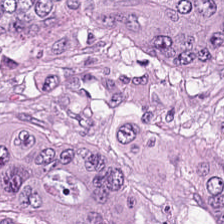H&E patch showing colorectal adenocarcinoma epithelium.
